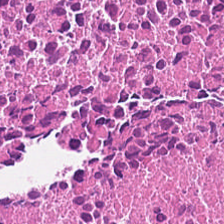Formalin-fixed paraffin-embedded section. Hematoxylin-and-eosin stained section — Impression → cellular debris.
